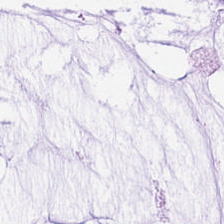Hematoxylin-and-eosin stained section. Formalin-fixed paraffin-embedded section. 20× equivalent magnification.
Q: What tissue is shown?
A: Extracellular mucin.
